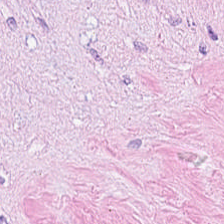Brightfield microscopy; formalin-fixed paraffin-embedded section; H&E stain — Showing desmoplastic stroma.
